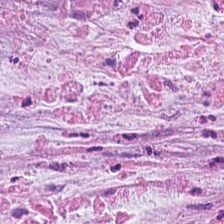H&E-stained tissue section showing extracellular mucin.
